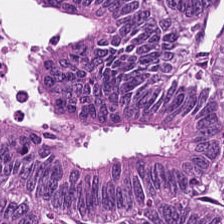H&E stain — Colorectal adenocarcinoma.
